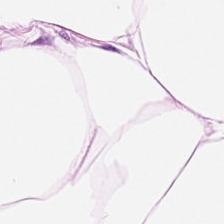H&E-stained tissue section. The tissue is adipocytes.
